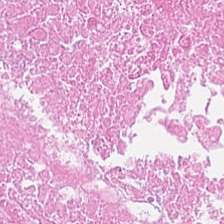Stain: H&E stain.
Predominant tissue: cellular debris.
